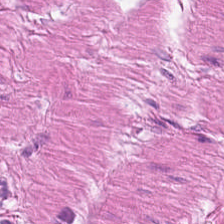Tissue: muscularis.
